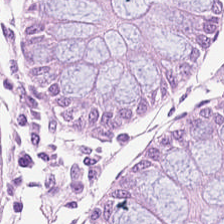Hematoxylin and eosin · whole-slide-image patch — Benign colonic mucosa.
